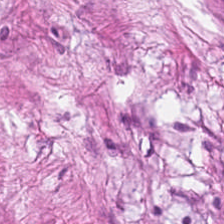H&E stain. Q: What tissue type is shown here?
A: This is tumor-associated stroma.
